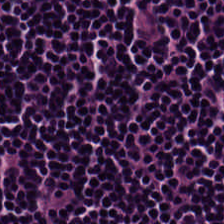Hematoxylin-and-eosin stained section — Tissue type = lymphoid infiltrate.
